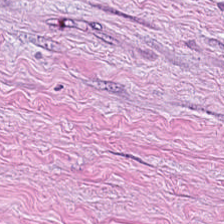0.5 microns per pixel. H&E-stained tissue section — Classification = desmoplastic stroma.
